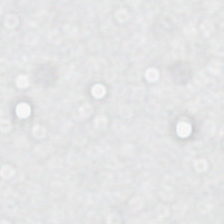Stain: H&E stain.
Preparation: FFPE.
Content: no tissue.
